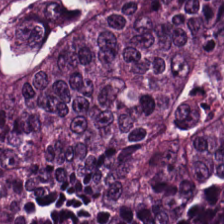Tissue class = adenocarcinoma.
